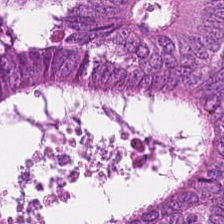Hematoxylin and eosin. Tissue class = colorectal adenocarcinoma.
